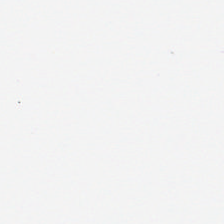Hematoxylin-and-eosin stained section. Classification = background (no tissue).
